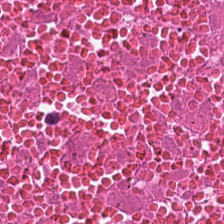H&E stain; whole-slide-image patch.
Q: Identify the tissue.
A: Debris.
